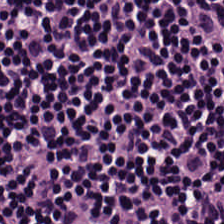Hematoxylin-and-eosin stained section.
The tissue here is lymphocytic infiltrate.
